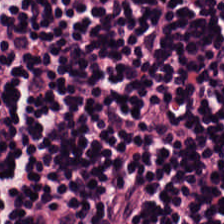H&E stain. Brightfield — Impression → lymphocytes.
